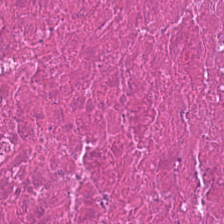Stain: H&E.
Preparation: formalin-fixed paraffin-embedded section.
Resolution: 0.5 microns per pixel.
Classification: necrotic debris.
